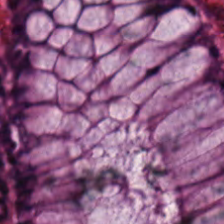The predominant tissue is benign colonic mucosa.
